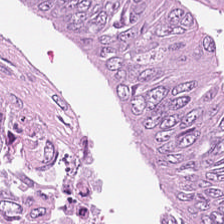Stain: hematoxylin and eosin.
Resolution: 20× equivalent magnification.
Tissue: tumor epithelium.
